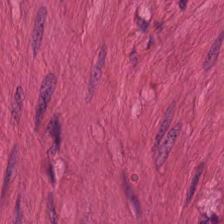Hematoxylin and eosin; 0.5 µm/px — The predominant tissue is smooth muscle.
